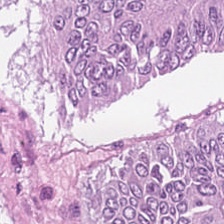H&E stain. Formalin-fixed paraffin-embedded section. Q: What is shown here?
A: The field shows tumor epithelium.
